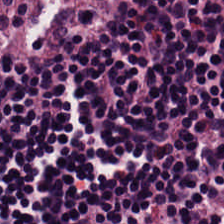The predominant tissue is lymphocytic infiltrate.
